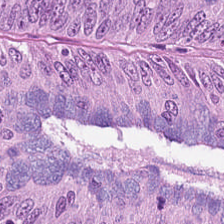FFPE; 224×224 px tile; H&E stain.
The tissue class is colorectal adenocarcinoma epithelium.
